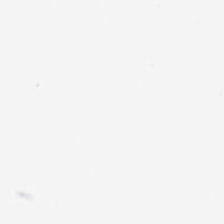Stain: H&E-stained tissue section.
Acquisition: brightfield.
Classification: no tissue.
